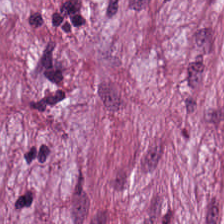H&E — tumor-associated stroma.
